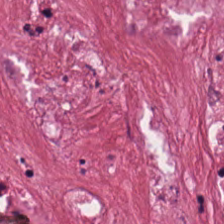H&E-stained tissue section — Impression → cancer-associated stroma.
